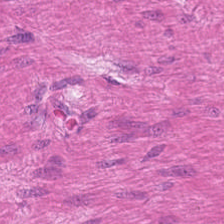Finding — smooth muscle.
